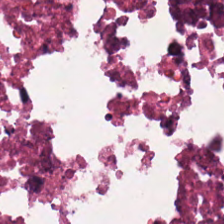H&E.
Q: Classify this patch.
A: This is necrotic debris.
